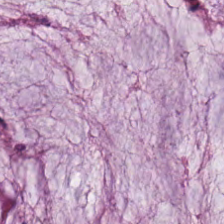Hematoxylin-and-eosin stained section — This field is extracellular mucin.
